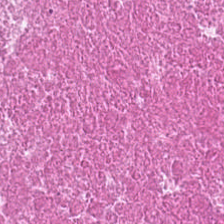H&E-stained tissue section · brightfield microscopy · 224×224 px tile.
The predominant tissue is cellular debris.
